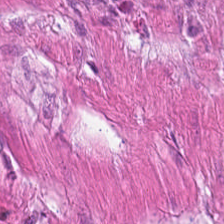{"tissue_type": "smooth muscle"}
